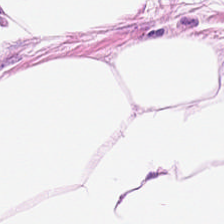0.5 microns per pixel; hematoxylin-and-eosin stained section.
The tissue here is adipocytes.
